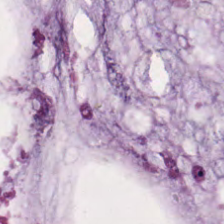Q: Classify this patch.
A: It is extracellular mucin.
